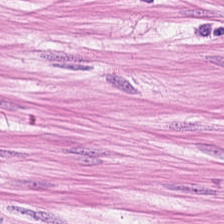224×224 px patch; brightfield microscopy; H&E-stained tissue section. This patch shows muscularis.
